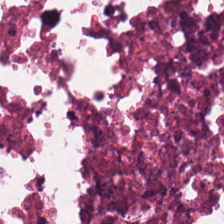Showing debris.
